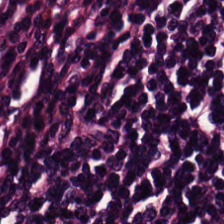WSI patch. H&E. 224×224 px tile.
Tissue class — lymphocytes.
